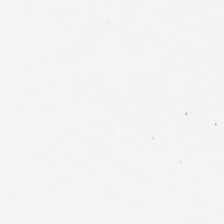Whole-slide-image patch; H&E-stained tissue section. Finding — empty background.
